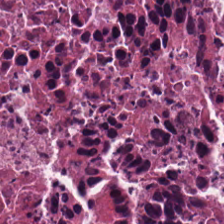Hematoxylin-and-eosin stained section · 224×224 px patch · FFPE tissue section. Tissue = necrotic debris.
